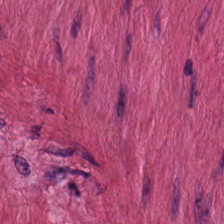Hematoxylin-and-eosin stained section.
Histology — smooth muscle.
